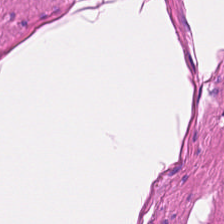Stain: hematoxylin and eosin.
Tissue type: smooth-muscle tissue.
